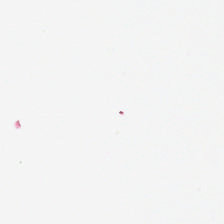Hematoxylin-and-eosin stained section. WSI patch. 224×224 px tile. Q: What is shown here?
A: It is empty background.
